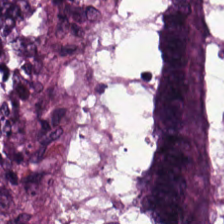H&E; 224×224 pixel tile. Colorectal adenocarcinoma.
